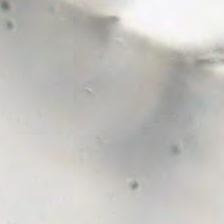Stain: H&E-stained tissue section.
Content: no tissue.
